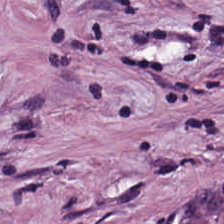H&E stain.
Showing desmoplastic stroma.
